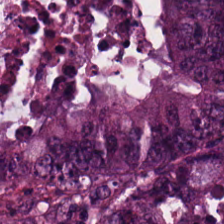This patch shows tumor epithelium.
